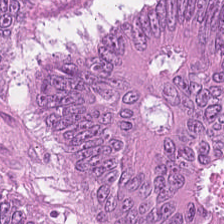Classification = tumor epithelium.
